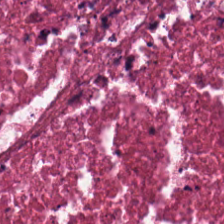The tissue is cellular debris.
